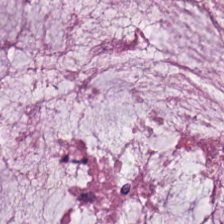H&E — Histology — mucus.
